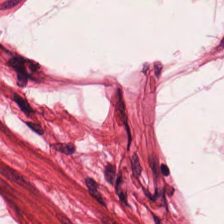Tissue class: smooth muscle.
